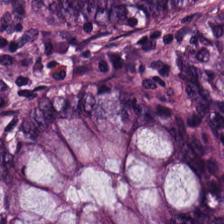H&E — Finding — benign colonic mucosa.
